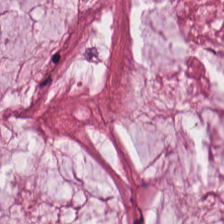Hematoxylin-and-eosin stained section. Predominant tissue = mucus.
